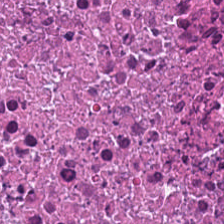Predominantly debris.
